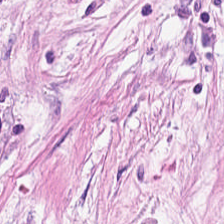Hematoxylin and eosin; formalin-fixed paraffin-embedded section; 0.5 microns per pixel. Tissue class: tumor stroma.
